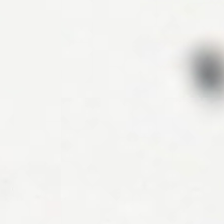H&E stain; FFPE. Field content: background (no tissue).
